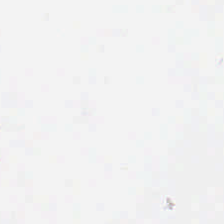Hematoxylin-and-eosin stained section. Brightfield microscopy. 224×224 px patch. Finding → empty background.
